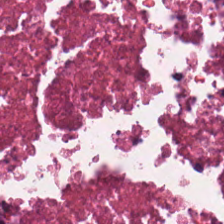Hematoxylin-and-eosin section: cellular debris.
